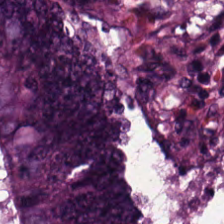Tissue type: malignant epithelium.
